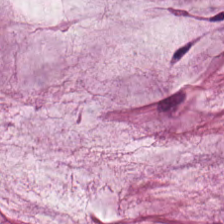Hematoxylin and eosin · brightfield — Showing mucin.
